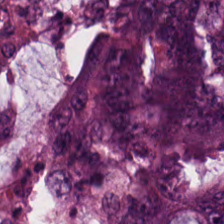224×224 pixel tile; hematoxylin and eosin; whole-slide-image patch — Q: What does this patch show?
A: This is colorectal adenocarcinoma.
